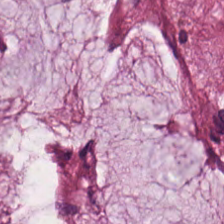The tissue type is mucus.
